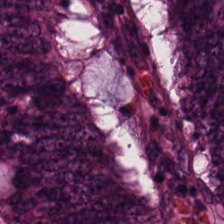H&E-stained tissue section.
Histology — colorectal adenocarcinoma epithelium.
